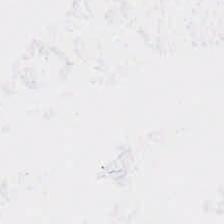H&E stain · 224×224 px tile.
This field is background (no tissue).
